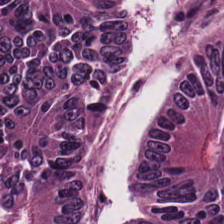FFPE · brightfield · H&E. Finding — adenocarcinoma.
